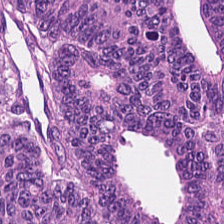This patch shows malignant epithelium.
